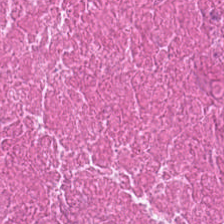0.5 microns per pixel; H&E stain. Finding — cellular debris.
